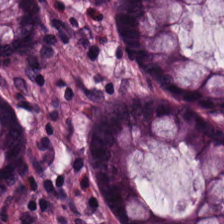H&E · 224×224 px patch — Predominant tissue: benign colonic mucosa.
